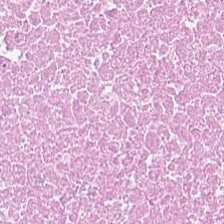Q: What is shown in this field?
A: This is debris.
